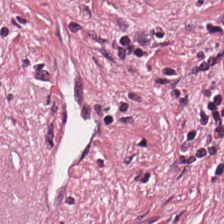224×224 px patch; 20× equivalent magnification; hematoxylin-and-eosin stained section.
This field is desmoplastic stroma.
